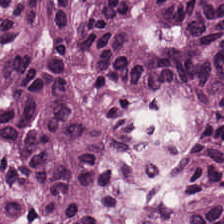H&E — Impression — colorectal adenocarcinoma.
